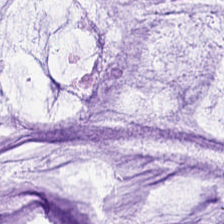Hematoxylin and eosin; brightfield microscopy — Tissue type = extracellular mucin.
